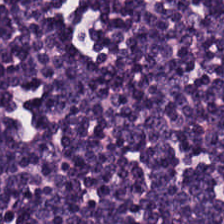Stain: H&E stain.
Acquisition: brightfield.
Preparation: FFPE.
Tissue: lymphocytic infiltrate.
